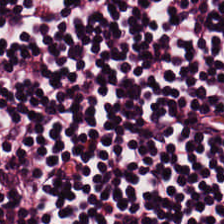H&E-stained tissue section. The tissue here is lymphocyte aggregate.
